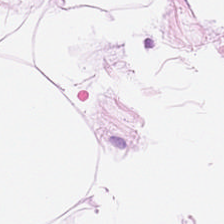Stain: H&E.
Tissue class: adipose.
